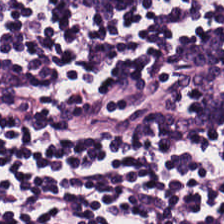Hematoxylin and eosin.
Classification = lymphocyte aggregate.
